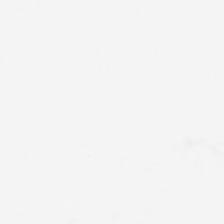Empty field — background (no tissue).
